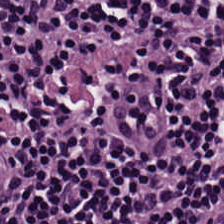H&E-stained tissue section; FFPE tissue section — The tissue here is lymphocytic infiltrate.
